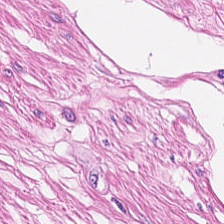0.5 µm/px. Hematoxylin-and-eosin stained section — This patch shows smooth-muscle tissue.
